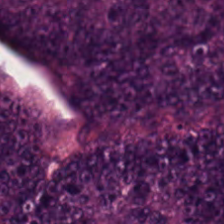Hematoxylin-and-eosin stained section. Q: What type of tissue is this?
A: It is malignant epithelium.
